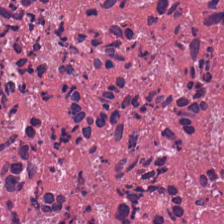H&E-stained tissue section · 224×224 px patch — Predominant tissue = debris.
